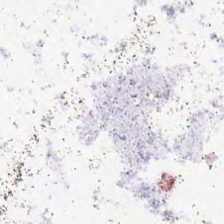Hematoxylin and eosin — {"content": "no tissue"}
